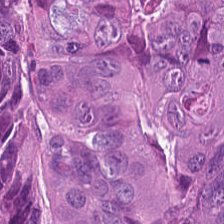H&E-stained tissue section. Classification: tumor epithelium.
